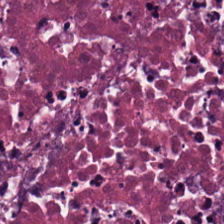Stain: hematoxylin-and-eosin stained section.
Tissue: cellular debris.
